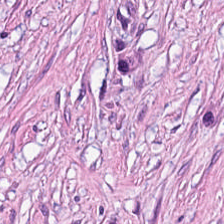H&E — Q: What is the predominant tissue type?
A: This is tumor-associated stroma.
